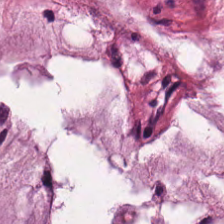Hematoxylin-and-eosin stained section · 0.5 µm/px — Predominantly extracellular mucin.
